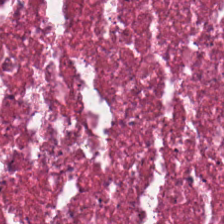The classification is cellular debris.
